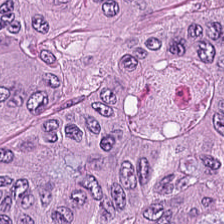Q: What is shown here?
A: It is colorectal adenocarcinoma.
